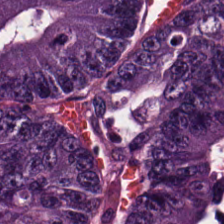Histology → adenocarcinoma.
